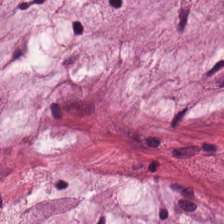Hematoxylin-and-eosin stained section · 0.5 microns per pixel — The tissue here is extracellular mucin.
